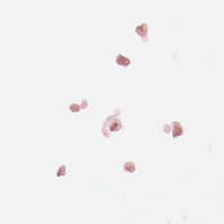0.5 microns per pixel; H&E; brightfield microscopy.
This field is background (no tissue).
